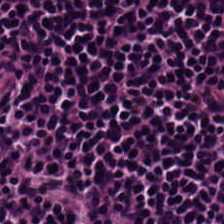H&E stain. This field is lymphoid infiltrate.
